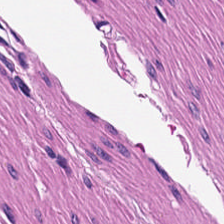224×224 px tile · 0.5 microns per pixel · H&E stain. Q: What tissue is shown?
A: This is smooth-muscle tissue.
